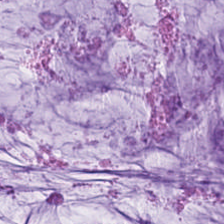Stain: hematoxylin and eosin.
Classification: mucin.
